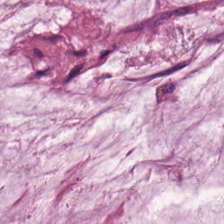Stain: hematoxylin-and-eosin stained section.
Resolution: 0.5 µm per pixel.
Tissue type: mucin.
